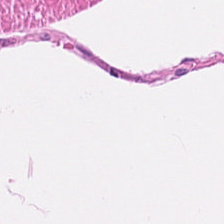H&E. The predominant tissue is smooth muscle.
